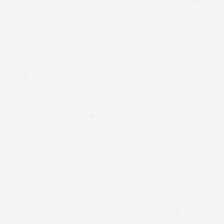224×224 pixel tile. Hematoxylin and eosin — Classification = background.
